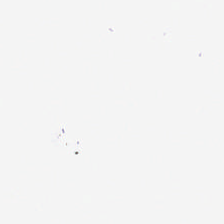H&E; WSI patch; FFPE tissue section — This patch shows background.
